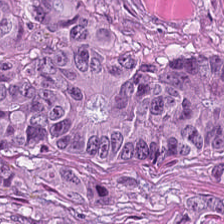H&E stain — The tissue here is tumor epithelium.
